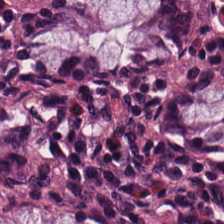H&E-stained tissue section; 224×224 pixel tile.
{"tissue_type": "normal colon mucosa"}
